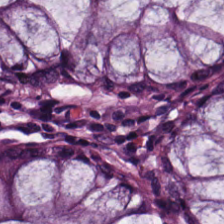Stain: H&E.
Tissue: normal colonic mucosa.
